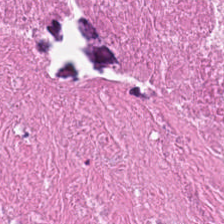H&E-stained tissue section — Tissue class = debris.
